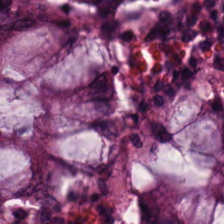0.5 microns per pixel · FFPE · H&E — The classification is normal colon mucosa.
